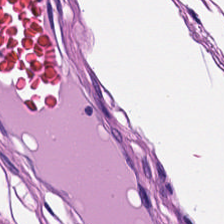Q: What type of tissue is this?
A: This is muscularis.
